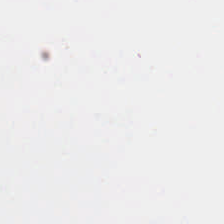H&E-stained tissue section. Q: Classify this patch.
A: The field shows background (no tissue).
